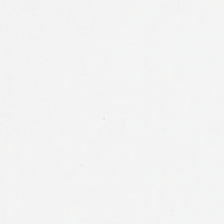Stain: hematoxylin-and-eosin stained section.
Content: no tissue.
